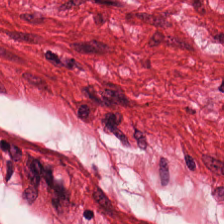H&E-stained tissue section. Muscularis.
